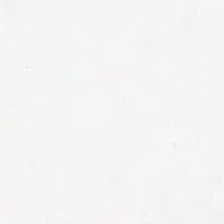Stain: hematoxylin and eosin.
Field content: background (no tissue).
